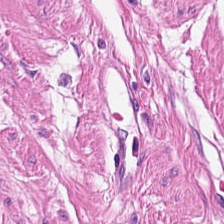H&E-stained tissue section.
Tissue class: smooth muscle.
